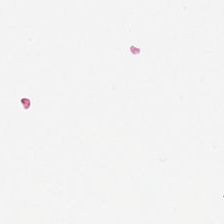H&E-stained tissue section — Q: Classify this patch.
A: No tissue.
